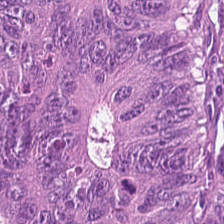H&E stain. 0.5 µm per pixel. Whole-slide-image patch — This field is colorectal adenocarcinoma.
